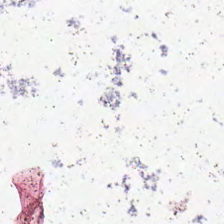224×224 pixel tile; brightfield; H&E stain. Classification: background (no tissue).
